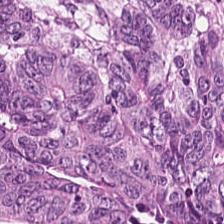224×224 px tile; H&E; formalin-fixed paraffin-embedded section — Tissue class = tumor epithelium.
